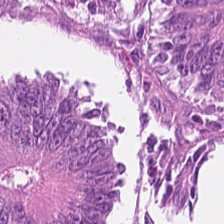H&E stain. Predominantly malignant epithelium.
